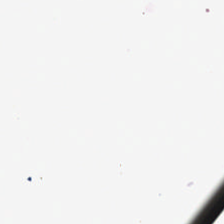H&E-stained tissue section. Q: Classify this patch.
A: No tissue.
